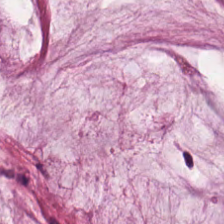Predominant tissue — mucin.
